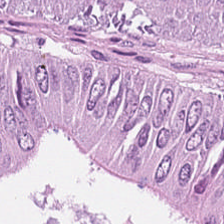Formalin-fixed paraffin-embedded section; H&E-stained tissue section; WSI patch. Tissue type: tumor epithelium.
